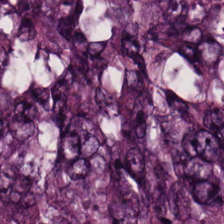The tissue type is tumor epithelium.
